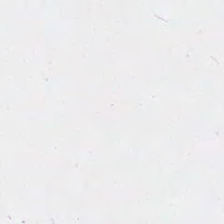Hematoxylin-and-eosin stained section.
This patch shows background.
